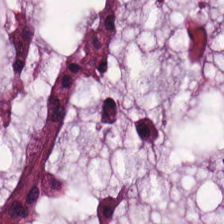H&E stain.
Mucin.
